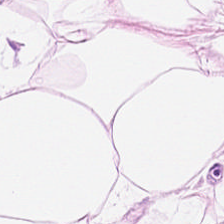Hematoxylin and eosin. Q: What is shown in this field?
A: It is adipocytes.
